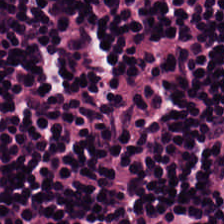H&E. 224×224 px patch.
The predominant tissue is lymphocytic infiltrate.
